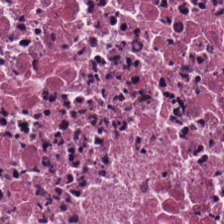H&E — Histology → necrotic debris.
